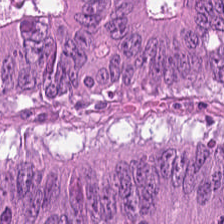Impression → malignant epithelium.
